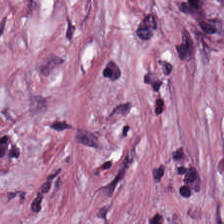224×224 px patch; 20× equivalent magnification; H&E-stained tissue section — Q: What is shown in this field?
A: Desmoplastic stroma.
